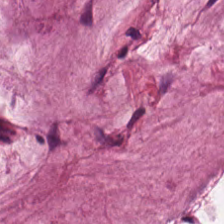H&E — extracellular mucin.
